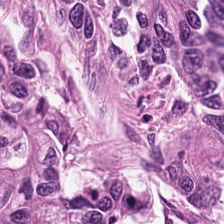Hematoxylin-and-eosin stained section — {"tissue_type": "colorectal adenocarcinoma epithelium"}
